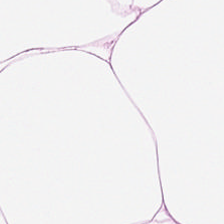Hematoxylin and eosin.
This field is adipose tissue.
